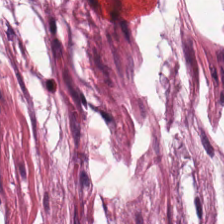Formalin-fixed paraffin-embedded section. Brightfield microscopy. H&E stain.
This field is mucus.
